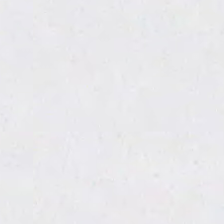H&E-stained tissue section — This patch shows no tissue.
